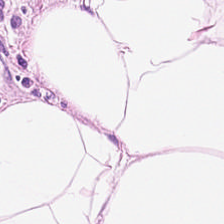H&E-stained tissue section; brightfield microscopy.
Q: What type of tissue is this?
A: The field shows adipocytes.
